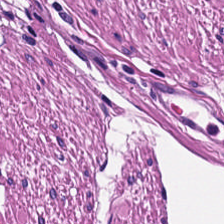Q: What type of tissue is this?
A: The field shows muscularis.
